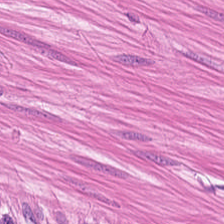H&E-stained tissue section — {"tissue_type": "smooth-muscle tissue"}
